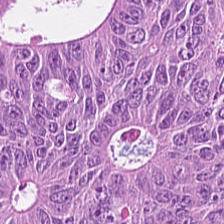Q: What type of tissue is this?
A: Tumor epithelium.
